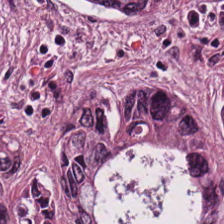0.5 µm per pixel. Hematoxylin-and-eosin stained section. Formalin-fixed paraffin-embedded section. Impression → colorectal adenocarcinoma.
